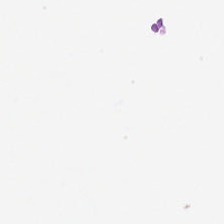FFPE tissue section; H&E stain. Finding — no tissue.
